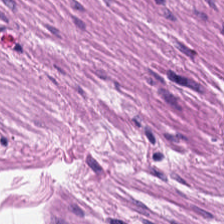Stain: H&E-stained tissue section.
Tissue type: muscularis.
